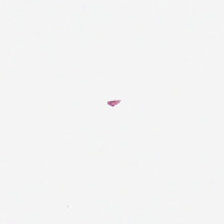This field is background (no tissue).
